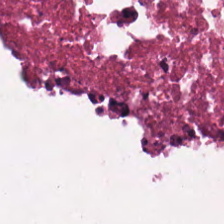FFPE tissue section. H&E — Q: What is shown in this field?
A: The field shows cellular debris.
